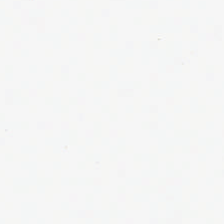224×224 px patch; H&E; FFPE. {"content": "background"}
